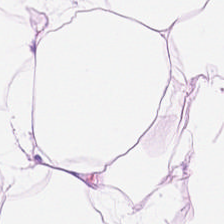Q: What tissue is shown?
A: The field shows adipose tissue.
